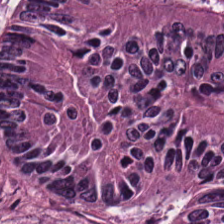0.5 microns per pixel · H&E-stained tissue section.
Classification — adenocarcinoma.
